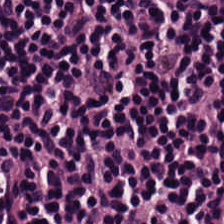Stain: H&E-stained tissue section.
Acquisition: whole-slide-image patch.
Predominant tissue: lymphocytes.
